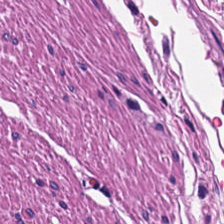H&E-stained section; the field shows smooth-muscle tissue.
